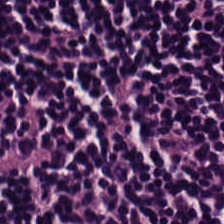The predominant tissue is lymphocytic infiltrate.
